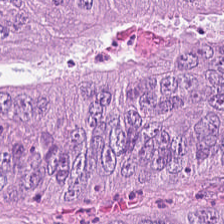0.5 microns per pixel. Hematoxylin-and-eosin stained section.
Predominantly colorectal adenocarcinoma.
